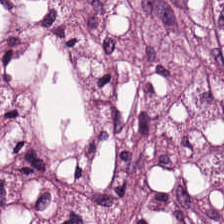Predominant tissue = tumor stroma.
